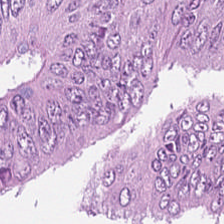H&E · 0.5 µm/px.
This patch shows colorectal adenocarcinoma.
